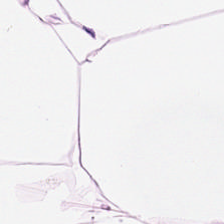Impression → fat tissue.
